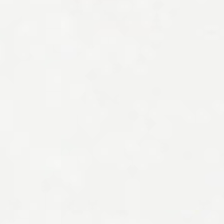Q: What does this patch show?
A: The field shows background.
